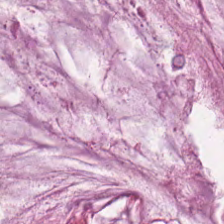Brightfield; H&E — The tissue class is mucin.
